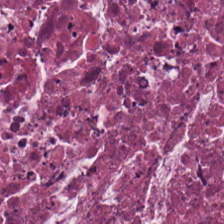H&E stain — {"tissue_type": "necrotic debris"}
